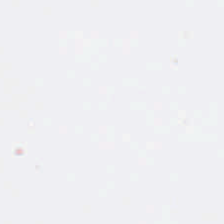Stain: hematoxylin and eosin.
Content: no tissue.
